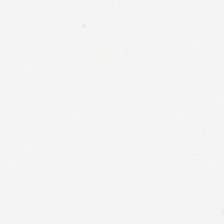Stain: H&E stain.
Field content: empty background.
